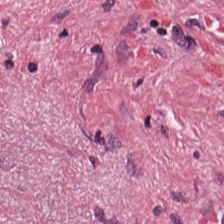H&E stain. Whole-slide-image patch.
Classification = tumor stroma.
